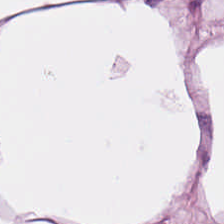H&E-stained tissue section · 0.5 microns per pixel.
Adipose.
